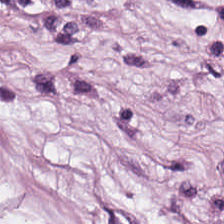Stain: H&E.
Tissue type: adipose tissue.
